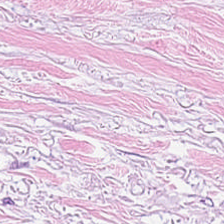H&E stain. Histology → cancer-associated stroma.
